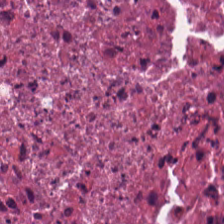Q: What is shown here?
A: The field shows necrotic debris.
